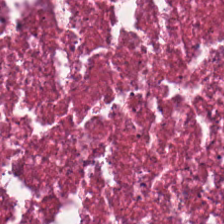Hematoxylin and eosin — This field is necrotic debris.
